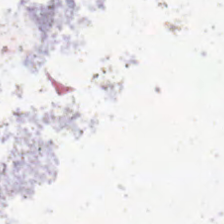Stain: hematoxylin and eosin.
Content: background (no tissue).
